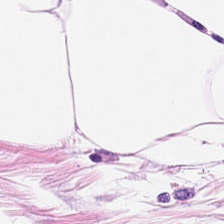H&E. Whole-slide-image patch. Predominantly fat tissue.
